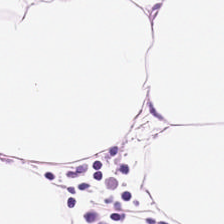H&E-stained tissue section. 20× equivalent magnification.
Predominantly adipose tissue.
